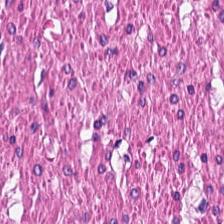0.5 µm/px. H&E stain. WSI patch. Histology → smooth muscle.
